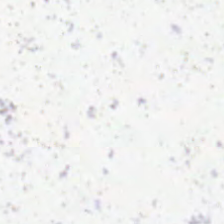Brightfield microscopy · hematoxylin and eosin · formalin-fixed paraffin-embedded section.
{"content": "background"}
